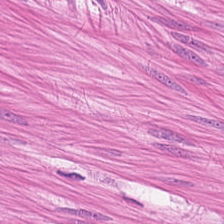Hematoxylin-and-eosin stained section.
Tissue — smooth-muscle tissue.
